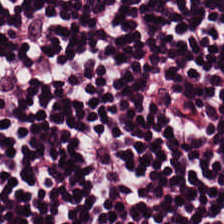224×224 px patch. Hematoxylin-and-eosin stained section. Tissue — lymphocytes.
